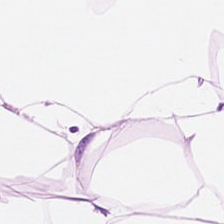Stain: hematoxylin and eosin.
Classification: fat tissue.
